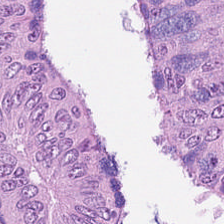Hematoxylin and eosin — Predominantly colorectal adenocarcinoma epithelium.
